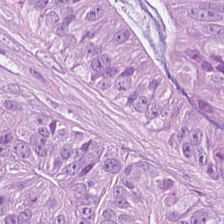Brightfield microscopy; H&E-stained tissue section. Tissue class — colorectal adenocarcinoma.
